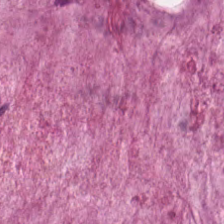Mucin.
